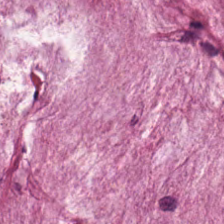Stain: hematoxylin-and-eosin stained section.
Tissue type: extracellular mucin.
